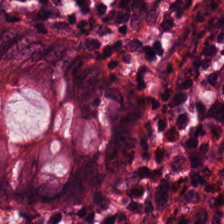H&E · 0.5 µm/px.
Histology → benign colonic mucosa.
